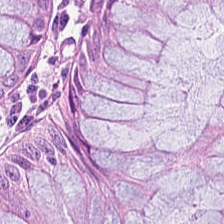H&E. FFPE.
Classification = normal colon mucosa.
